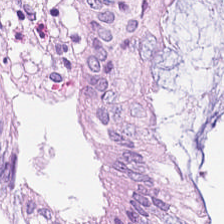Tissue class = normal colon mucosa.
